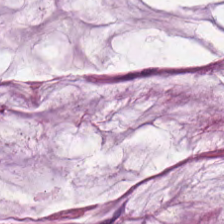Hematoxylin-and-eosin stained section · 0.5 microns per pixel.
The tissue here is mucus.
